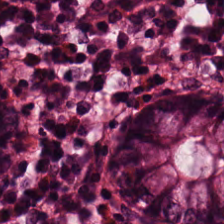H&E stain — The tissue here is normal colon mucosa.
